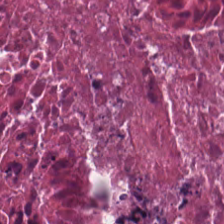Q: What is shown in this field?
A: The field shows necrotic debris.
